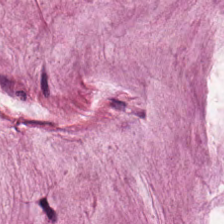Hematoxylin-and-eosin stained section · brightfield microscopy.
The tissue here is mucin.
